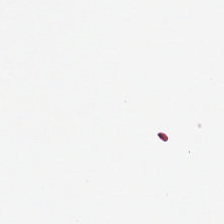H&E. Whole-slide-image patch. {"content": "no tissue"}
